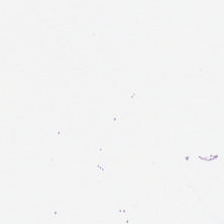H&E-stained tissue section — Q: What is shown in this field?
A: This is no tissue.
